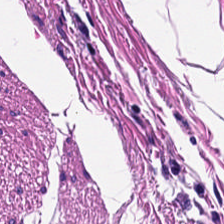H&E-stained tissue section showing muscularis.
